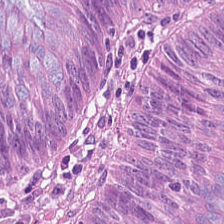Hematoxylin and eosin.
Impression — adenocarcinoma.
